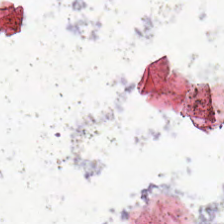H&E stain.
Empty field — no tissue.
